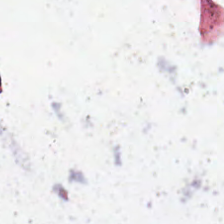Stain: hematoxylin and eosin.
Classification: empty background.
